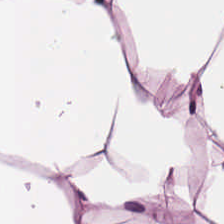H&E-stained tissue section · formalin-fixed paraffin-embedded section. Fat tissue.
